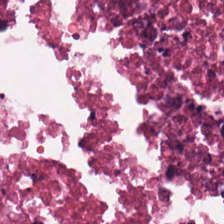H&E-stained tissue section · WSI patch. Impression — necrotic debris.
